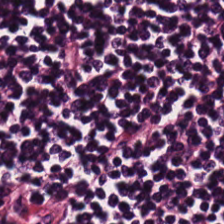Hematoxylin-and-eosin stained section.
Q: What type of tissue is this?
A: It is lymphoid infiltrate.
